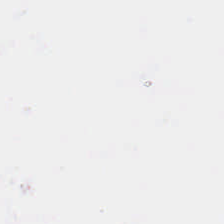H&E stain; brightfield microscopy; 224×224 px patch — {"content": "background (no tissue)"}
